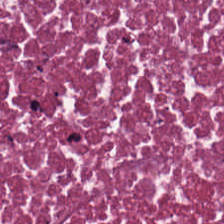0.5 µm/px; H&E — Classification: debris.
